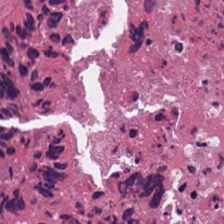Hematoxylin-and-eosin stained section.
This patch shows necrotic debris.
